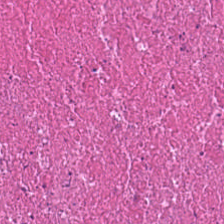This patch shows debris.
